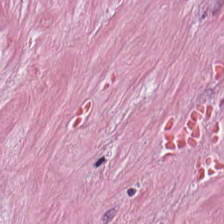H&E. Predominantly cancer-associated stroma.
